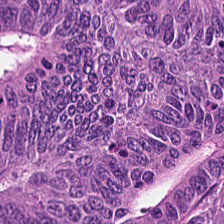H&E stain. 224×224 px tile. Colorectal adenocarcinoma.
